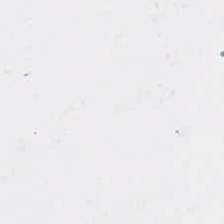224×224 px patch. H&E stain.
Background.
